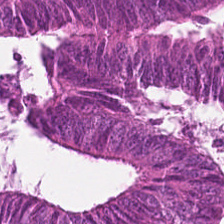Hematoxylin and eosin. The tissue here is tumor epithelium.
